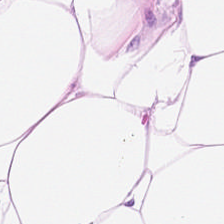Predominant tissue — adipose tissue.
